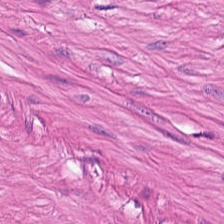H&E-stained tissue section — Tissue class: smooth-muscle tissue.
